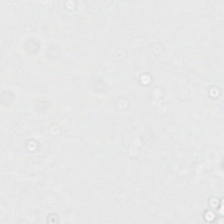Hematoxylin and eosin — Q: What is shown here?
A: The field shows background (no tissue).
